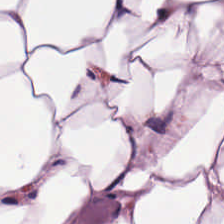Stain: hematoxylin and eosin.
Tissue type: adipocytes.
